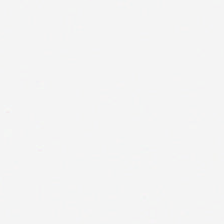H&E stain · formalin-fixed paraffin-embedded section · whole-slide-image patch. Q: What is shown here?
A: It is empty background.
